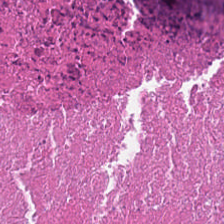Stain: H&E-stained tissue section.
Tissue: necrotic debris.
